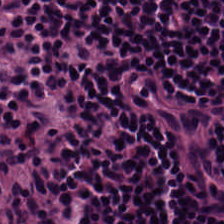Hematoxylin and eosin · 224×224 px tile · whole-slide-image patch — Q: Classify this patch.
A: Lymphocyte aggregate.
